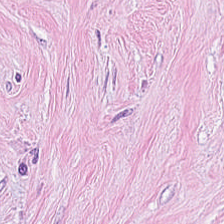Histology → cancer-associated stroma.
